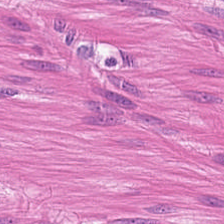H&E-stained tissue section — Showing smooth muscle.
